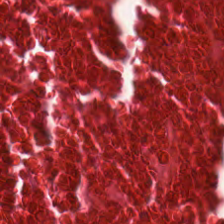The tissue here is necrotic debris.
